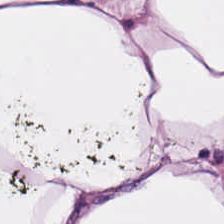H&E stain — Finding → adipocytes.
